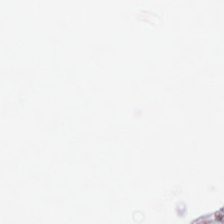H&E-stained tissue section. Content = background (no tissue).
